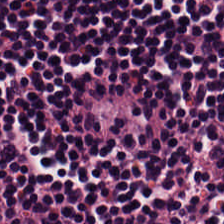H&E stain; 224×224 pixel tile; formalin-fixed paraffin-embedded section — {"tissue_type": "lymphocytic infiltrate"}
